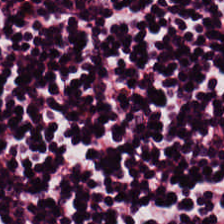Stain: H&E-stained tissue section.
Classification: lymphocytic infiltrate.
